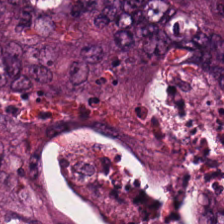Stain: hematoxylin and eosin.
Classification: tumor epithelium.
